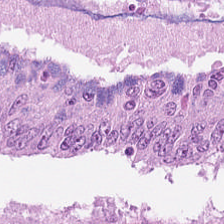H&E stain. Q: What tissue is shown?
A: The field shows malignant epithelium.
